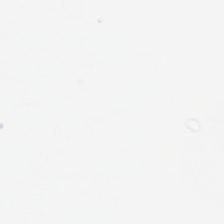H&E-stained tissue section. Classification = background.
